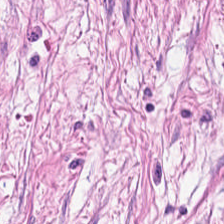FFPE. H&E — Tumor stroma.
